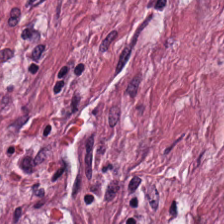0.5 µm per pixel. H&E-stained tissue section. Q: Identify the tissue.
A: Tumor-associated stroma.
